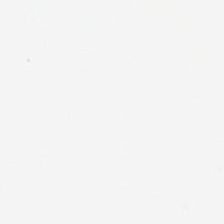Q: Classify this patch.
A: This is background.
